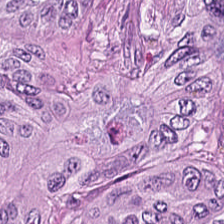FFPE tissue section. H&E-stained tissue section — The tissue here is malignant epithelium.
